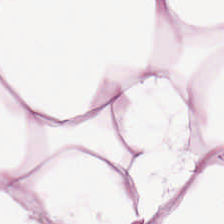H&E-stained tissue section.
Impression — adipocytes.
